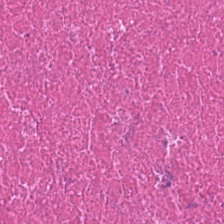Q: Identify the tissue.
A: Cellular debris.
